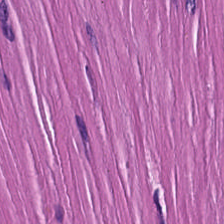Stain: H&E-stained tissue section.
Tile size: 224×224 px tile.
Acquisition: brightfield microscopy.
Predominant tissue: smooth muscle.
